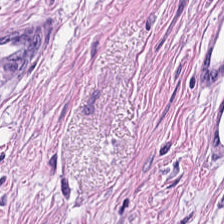H&E stain — Q: What is shown here?
A: The field shows muscularis.
